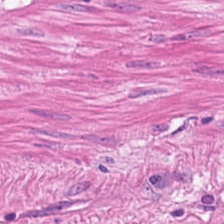H&E.
{"tissue_type": "smooth muscle"}
